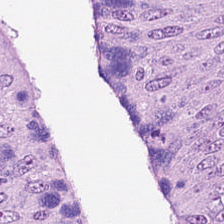Hematoxylin and eosin.
Predominantly colorectal adenocarcinoma epithelium.
